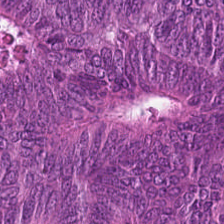Colorectal adenocarcinoma.
